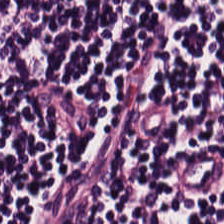Predominantly lymphocytic infiltrate.
